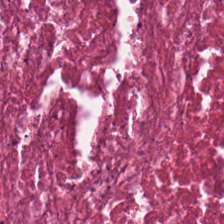FFPE tissue section · hematoxylin-and-eosin stained section · 20× equivalent magnification. This patch shows debris.
